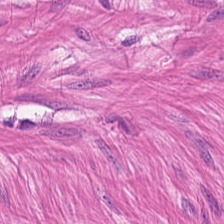Hematoxylin and eosin. Histology — smooth-muscle tissue.
